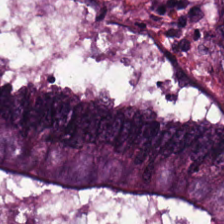FFPE. H&E — The tissue here is adenocarcinoma.
